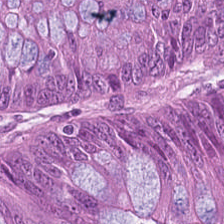H&E-stained tissue section; 224×224 px tile.
The tissue type is colorectal adenocarcinoma.
